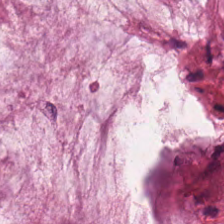Whole-slide-image patch. Hematoxylin-and-eosin stained section.
Q: What type of tissue is this?
A: This is extracellular mucin.
